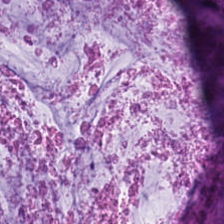H&E patch showing mucin.
